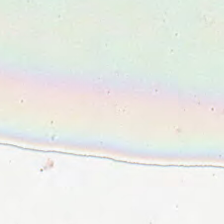20× equivalent magnification; H&E — {"content": "no tissue"}
